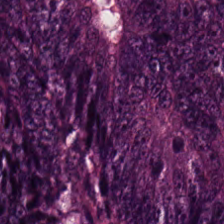H&E. Q: What does this patch show?
A: It is colorectal adenocarcinoma epithelium.
